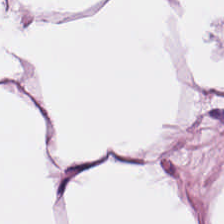H&E stain · brightfield microscopy · 0.5 µm/px.
Predominant tissue = adipose.
